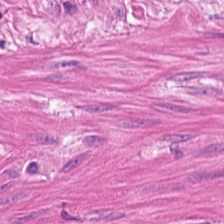224×224 px patch. H&E-stained tissue section — Q: Identify the tissue.
A: It is muscularis.
